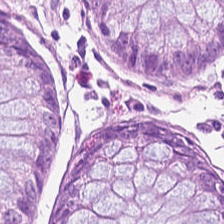H&E-stained tissue section. 224×224 px patch. FFPE tissue section. Finding — normal colon mucosa.
